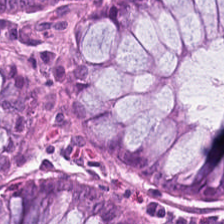H&E stain. Tissue = non-neoplastic colon mucosa.
